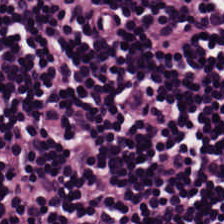The tissue is lymphocyte aggregate.
